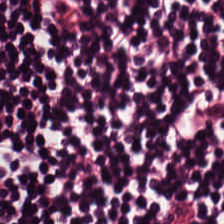Tissue type — lymphoid infiltrate.
